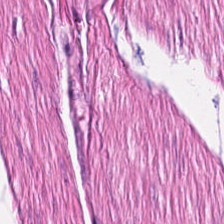Hematoxylin and eosin. Showing muscularis.
